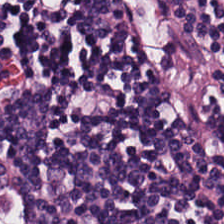Stain: H&E stain.
Tile size: 224×224 px patch.
Tissue type: lymphocyte aggregate.
